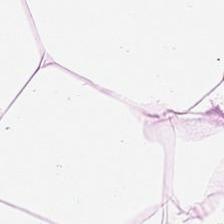Classification — adipocytes.
